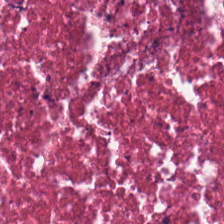Stain: H&E.
Resolution: 0.5 microns per pixel.
Tile size: 224×224 px tile.
Tissue type: debris.
